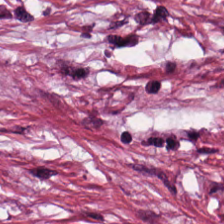H&E-stained tissue section.
Histology → tumor stroma.
